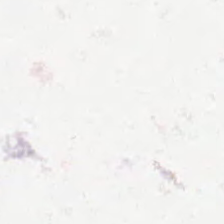Background.
